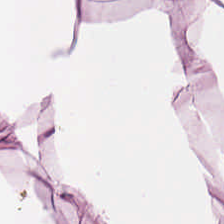H&E stain; 0.5 microns per pixel — Predominant tissue = adipocytes.
